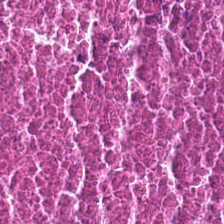Whole-slide-image patch. H&E-stained tissue section. 224×224 px tile. The predominant tissue is cellular debris.
